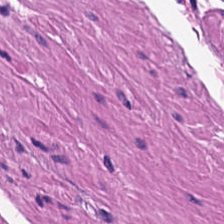Brightfield microscopy; 224×224 pixel tile; H&E stain. Q: What is the predominant tissue type?
A: It is smooth-muscle tissue.
